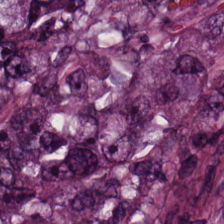Q: What tissue is shown?
A: It is malignant epithelium.
